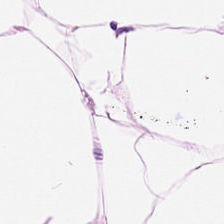Tissue class = fat tissue.
